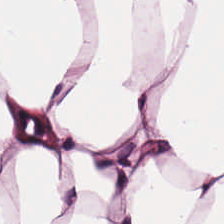Hematoxylin and eosin. Showing adipose tissue.
